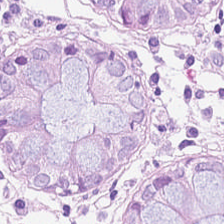H&E stain; formalin-fixed paraffin-embedded section — Tissue class — benign colonic mucosa.
